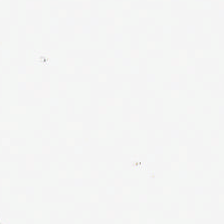Hematoxylin-and-eosin stained section.
This field is background (no tissue).
